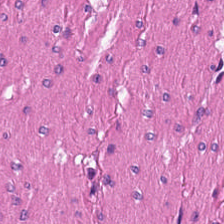Hematoxylin and eosin. Q: What does this patch show?
A: It is smooth-muscle tissue.
